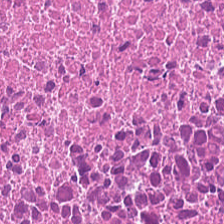Hematoxylin-and-eosin stained section.
This patch shows cellular debris.
